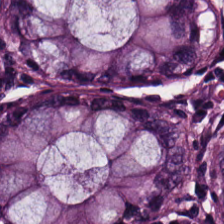H&E.
Q: What type of tissue is this?
A: The field shows benign colonic mucosa.
